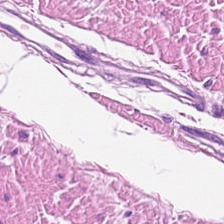H&E-stained tissue section.
Q: What is shown in this field?
A: It is smooth-muscle tissue.
